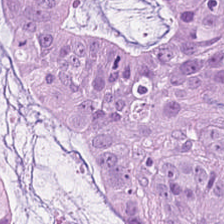Hematoxylin and eosin. Predominantly colorectal adenocarcinoma epithelium.
